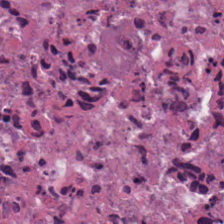Tissue type — debris.
